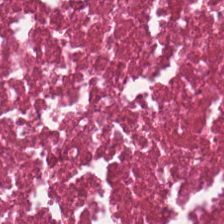H&E.
The classification is necrotic debris.
